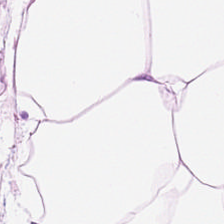H&E-stained tissue section. Q: What does this patch show?
A: The field shows fat tissue.
